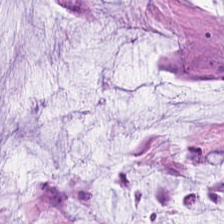H&E · WSI patch. This patch shows mucus.
